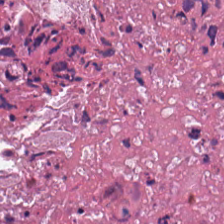H&E; brightfield microscopy. The predominant tissue is cellular debris.
